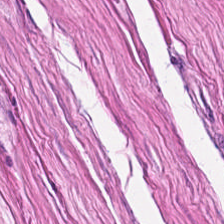Stain: hematoxylin-and-eosin stained section.
Predominant tissue: smooth-muscle tissue.
